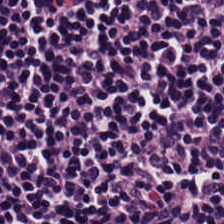Showing lymphocyte aggregate.
